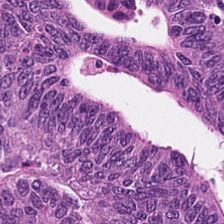Whole-slide-image patch; hematoxylin and eosin; 224×224 px tile — The tissue class is colorectal adenocarcinoma.
